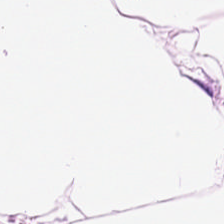Hematoxylin and eosin. Fat tissue.
